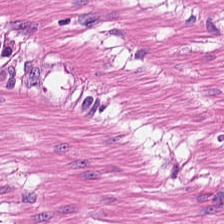The predominant tissue is smooth-muscle tissue.
